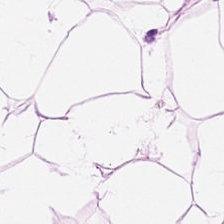20× equivalent magnification; H&E stain — Tissue class: fat tissue.
